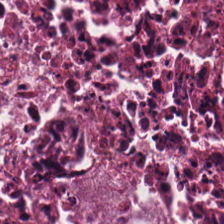224×224 pixel tile · H&E. Showing debris.
